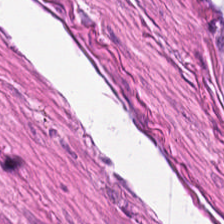Stain: hematoxylin-and-eosin stained section.
Preparation: FFPE.
Tissue class: smooth-muscle tissue.
